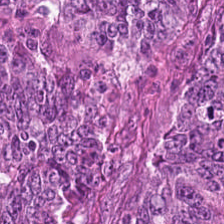FFPE tissue section · hematoxylin-and-eosin stained section. Impression → colorectal adenocarcinoma.
